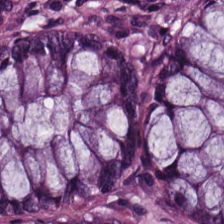H&E-stained tissue section · brightfield microscopy · 224×224 px patch.
Tissue = benign colonic mucosa.
